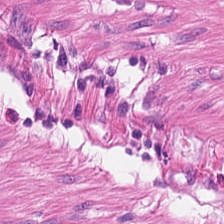H&E-stained tissue section. Brightfield microscopy.
Q: What is the predominant tissue type?
A: This is smooth muscle.
